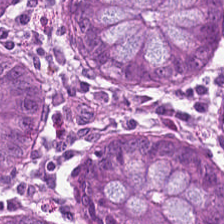H&E.
The tissue here is normal colonic mucosa.
